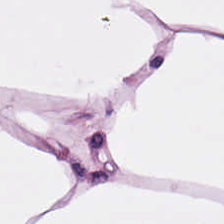Hematoxylin-and-eosin stained section — This field is adipocytes.
